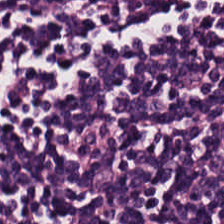224×224 pixel tile; hematoxylin-and-eosin stained section — Tissue: lymphocytes.
